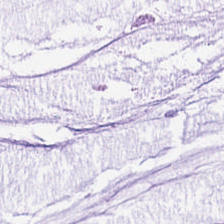Hematoxylin-and-eosin stained section.
Classification = extracellular mucin.
